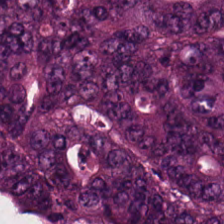Stain: H&E stain.
Tissue: adenocarcinoma.
